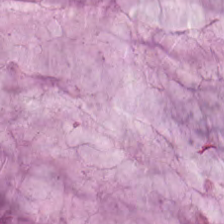Hematoxylin and eosin · 20× equivalent magnification — Tissue class — mucus.
